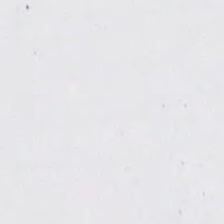H&E-stained tissue section — Classification — empty background.
